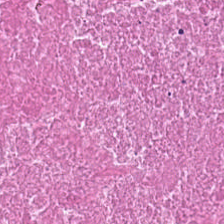Hematoxylin and eosin.
The tissue class is cellular debris.
